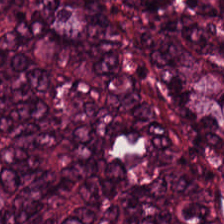FFPE; brightfield microscopy; H&E stain.
Predominantly adenocarcinoma.
